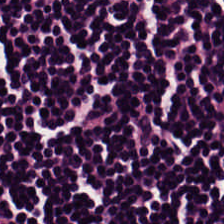0.5 microns per pixel; H&E — This patch shows lymphocytic infiltrate.
